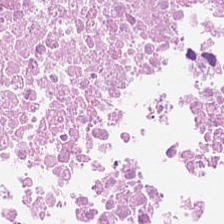Hematoxylin-and-eosin stained section. Showing necrotic debris.
